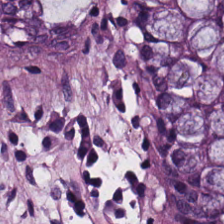0.5 microns per pixel. Whole-slide-image patch. H&E-stained tissue section — Tissue type — normal colon mucosa.
